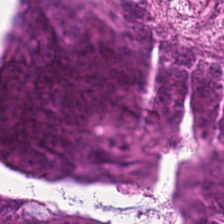Impression — tumor epithelium.
